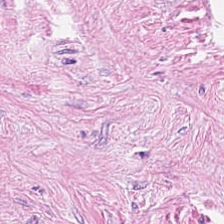Stain: hematoxylin-and-eosin stained section.
Acquisition: brightfield microscopy.
Tissue type: tumor-associated stroma.
